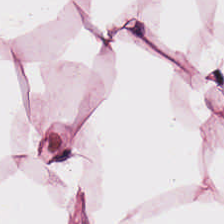224×224 pixel tile. H&E-stained tissue section — Showing adipose tissue.
